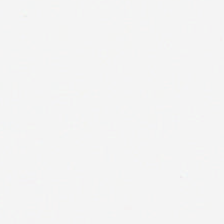Q: Classify this patch.
A: It is empty background.
